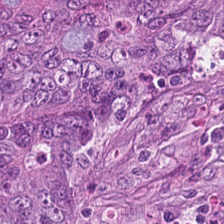The tissue here is tumor epithelium.
